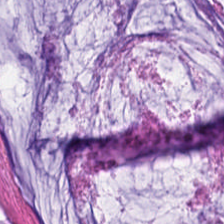H&E-stained tissue section · formalin-fixed paraffin-embedded section — Histology → mucus.
